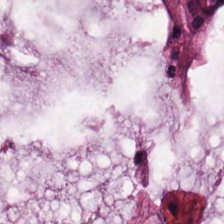H&E-stained tissue section. Histology — mucin.
